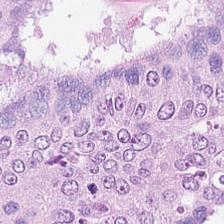H&E · FFPE — Classification = adenocarcinoma.
